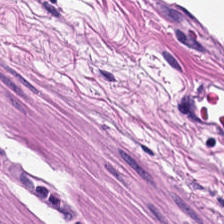224×224 px patch; formalin-fixed paraffin-embedded section; hematoxylin and eosin. Q: What tissue is shown?
A: This is smooth muscle.
